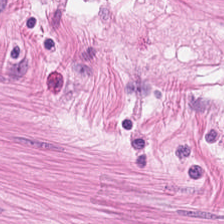H&E-stained tissue section. Smooth-muscle tissue.
